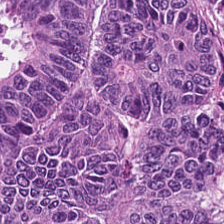H&E-stained tissue section.
The predominant tissue is tumor epithelium.
